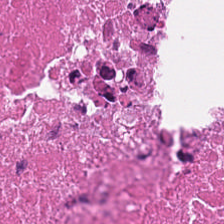WSI patch; hematoxylin-and-eosin stained section — Impression — debris.
